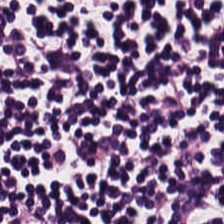Impression → lymphoid infiltrate.
